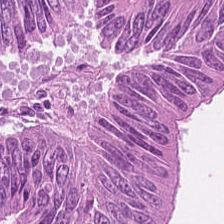H&E stain — Q: What is the predominant tissue type?
A: The field shows colorectal adenocarcinoma epithelium.
